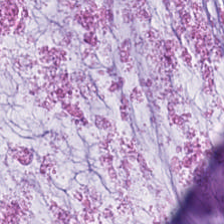Tissue class = extracellular mucin.
